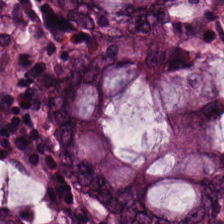Q: What type of tissue is this?
A: It is normal colonic mucosa.
